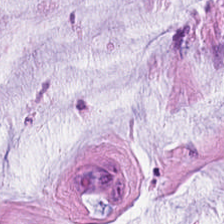Q: Classify this patch.
A: The field shows extracellular mucin.
